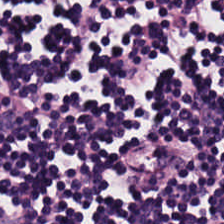Hematoxylin and eosin. Finding → lymphoid infiltrate.
